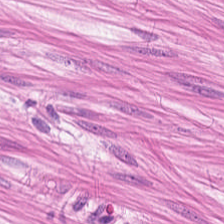Hematoxylin and eosin; 224×224 px patch — Q: What tissue is shown?
A: It is muscularis.
